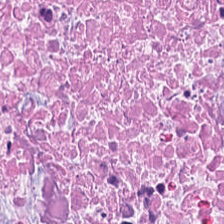H&E — {"tissue_type": "cellular debris"}
